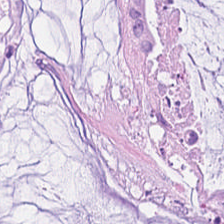H&E-stained tissue section.
Predominant tissue: mucus.
